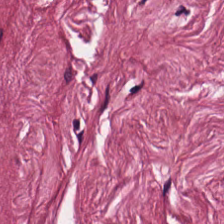{"tissue_type": "cancer-associated stroma"}
